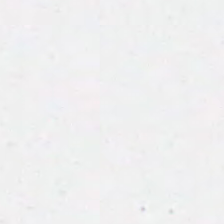Hematoxylin-and-eosin stained section; 224×224 px tile.
Histology — background (no tissue).
